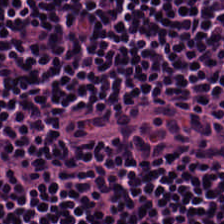Tissue type — lymphocyte aggregate.
